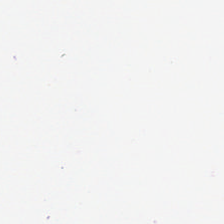{"content": "background"}
